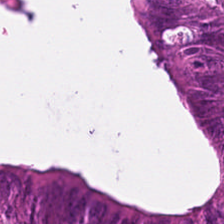Hematoxylin-and-eosin stained section.
Q: Classify this patch.
A: This is colorectal adenocarcinoma epithelium.
